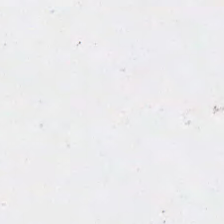H&E-stained tissue section.
Finding → background (no tissue).
